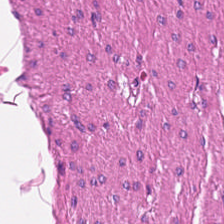224×224 px patch. H&E-stained tissue section. The predominant tissue is smooth muscle.
